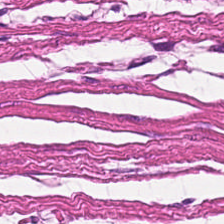Hematoxylin and eosin — {"tissue_type": "smooth-muscle tissue"}
